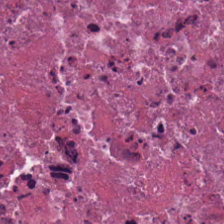Hematoxylin and eosin.
Tissue type: cellular debris.
